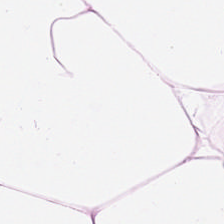H&E stain · formalin-fixed paraffin-embedded section. Tissue type = fat tissue.
